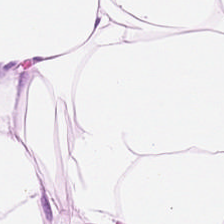20× equivalent magnification. H&E-stained tissue section.
Showing adipocytes.
